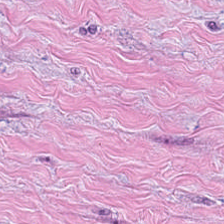Cancer-associated stroma.
